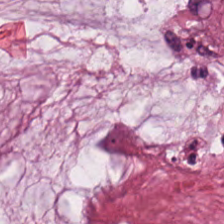Hematoxylin and eosin; whole-slide-image patch. The tissue here is mucus.
